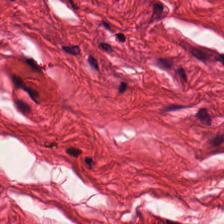H&E-stained tissue section. Brightfield. Tissue: smooth-muscle tissue.
